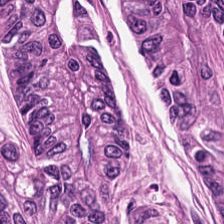Stain: H&E stain.
Tile size: 224×224 px patch.
Predominant tissue: malignant epithelium.
